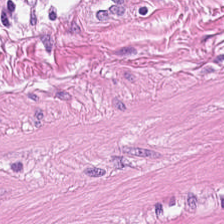H&E-stained section; the field shows muscularis.
